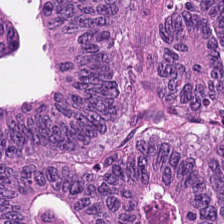Hematoxylin-and-eosin stained section · 224×224 px patch — Predominantly malignant epithelium.
